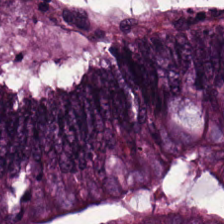Stain: H&E.
Tissue type: malignant epithelium.
